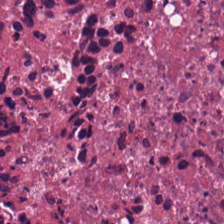Brightfield microscopy · H&E-stained tissue section. {"tissue_type": "debris"}
